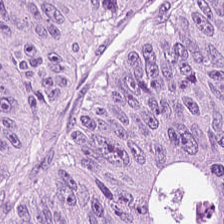Finding — colorectal adenocarcinoma.
